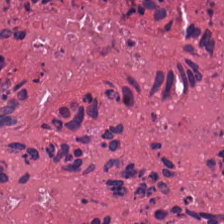H&E stain.
The predominant tissue is necrotic debris.
